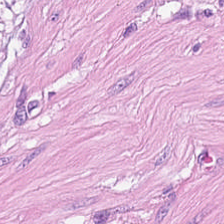Tissue class: muscularis.
